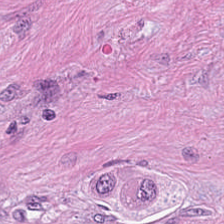Hematoxylin and eosin. 224×224 px tile.
The predominant tissue is desmoplastic stroma.
